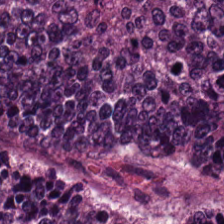Tissue class — colorectal adenocarcinoma.
